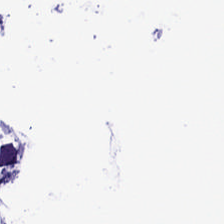H&E-stained tissue section. 224×224 pixel tile. 0.5 microns per pixel.
This patch shows background (no tissue).
